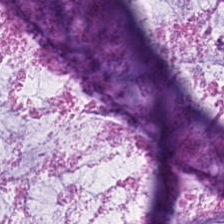Hematoxylin-and-eosin stained section.
Predominant tissue = mucus.
